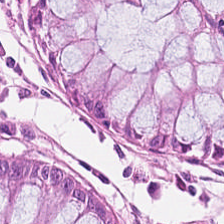Tissue class = normal colon mucosa.
